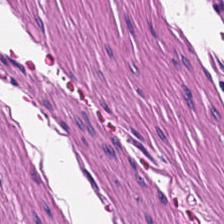H&E-stained tissue section; brightfield microscopy — Smooth-muscle tissue.
